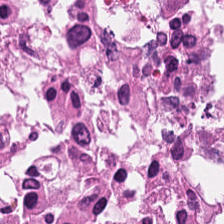Stain: H&E.
Preparation: FFPE.
Resolution: 0.5 µm per pixel.
Tissue type: debris.
